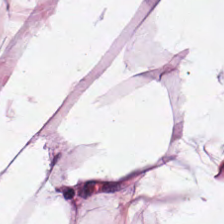H&E-stained tissue section — Adipocytes.
